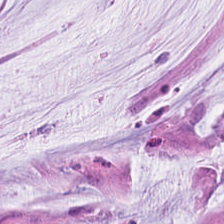Brightfield; hematoxylin-and-eosin stained section. Histology — mucin.
